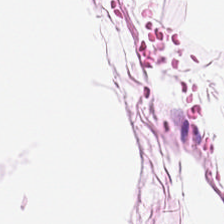This field is fat tissue.
